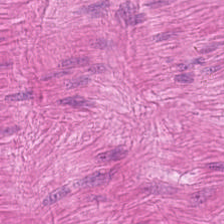224×224 px patch · 0.5 µm/px · H&E stain — Predominant tissue — muscularis.
